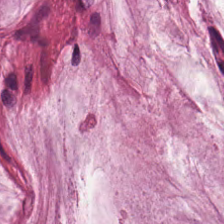0.5 µm per pixel. Hematoxylin-and-eosin stained section. 224×224 px tile. Tissue type = mucus.
